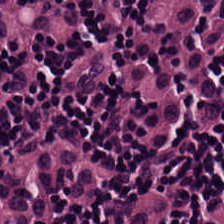Whole-slide-image patch. H&E. This field is lymphocytes.
